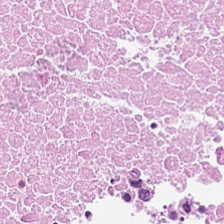0.5 microns per pixel; WSI patch; hematoxylin-and-eosin stained section.
The tissue class is cellular debris.
